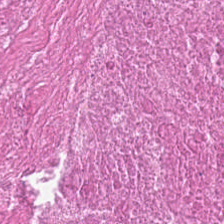H&E-stained tissue section. This field is debris.
